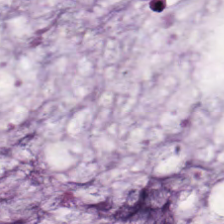Hematoxylin-and-eosin stained section. The tissue class is mucin.
